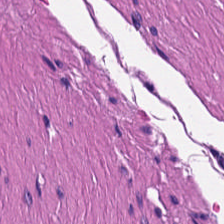H&E. FFPE. Muscularis.
